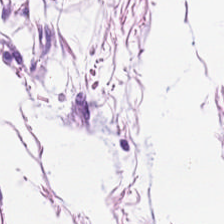Impression — adipose tissue.
